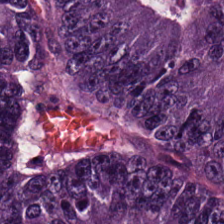H&E stain. The predominant tissue is colorectal adenocarcinoma.
